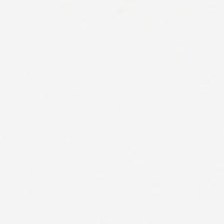Hematoxylin-and-eosin stained section. Background — no tissue in this field.
